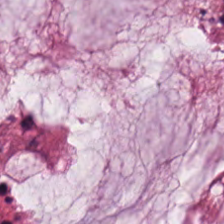WSI patch; H&E-stained tissue section.
Predominantly mucin.
